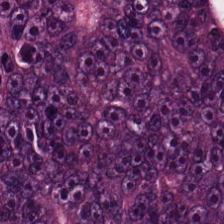Hematoxylin and eosin — Q: Classify this patch.
A: It is colorectal adenocarcinoma.
